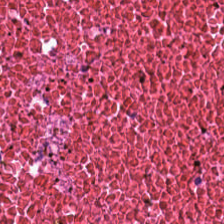WSI patch; FFPE; hematoxylin and eosin — Tissue: cellular debris.
